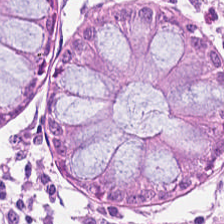H&E patch showing benign colonic mucosa.
